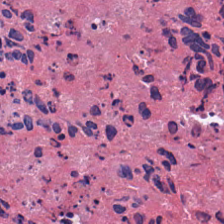This field is cellular debris.
